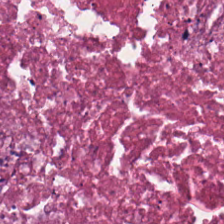H&E stain — The tissue here is cellular debris.
